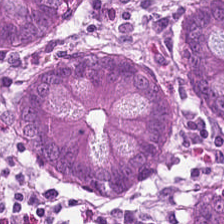H&E stain.
Predominant tissue = normal colon mucosa.
